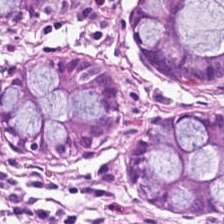H&E stain — The tissue type is benign colonic mucosa.
